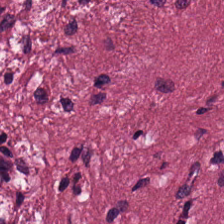Hematoxylin-and-eosin stained section. {"tissue_type": "cancer-associated stroma"}
